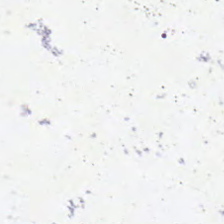Stain: hematoxylin and eosin.
Resolution: 20× equivalent magnification.
Field content: no tissue.
